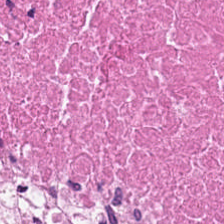Stain: H&E-stained tissue section.
Tissue type: cellular debris.
